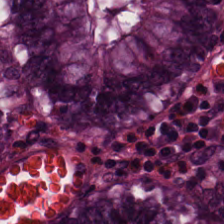Hematoxylin and eosin — Histology — normal colonic mucosa.
